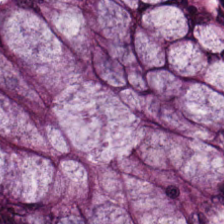H&E — The tissue class is benign colonic mucosa.
